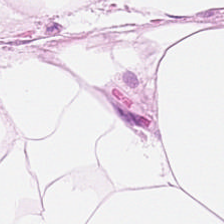H&E · whole-slide-image patch — Tissue — adipocytes.
